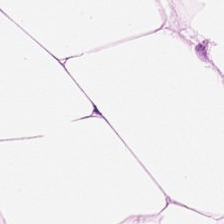H&E. Formalin-fixed paraffin-embedded section.
Tissue: fat tissue.
